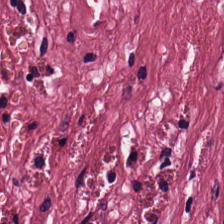H&E-stained tissue section. 20× equivalent magnification. FFPE tissue section — This field is desmoplastic stroma.
